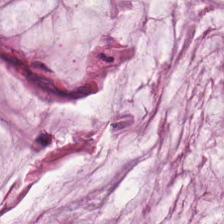0.5 microns per pixel; H&E — Impression — mucin.
